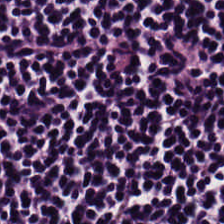Tissue class — lymphocytic infiltrate.
